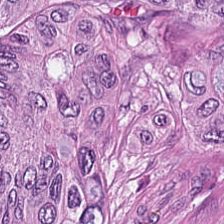H&E-stained tissue section.
Classification — tumor epithelium.
